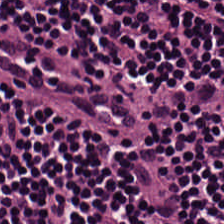Brightfield · 0.5 µm per pixel · H&E stain.
Predominantly lymphocyte aggregate.
